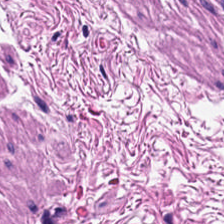Hematoxylin-and-eosin stained section. FFPE tissue section — This patch shows smooth-muscle tissue.
